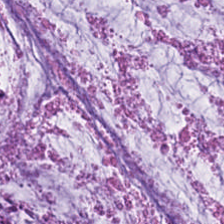H&E stain — Q: What type of tissue is this?
A: Extracellular mucin.
